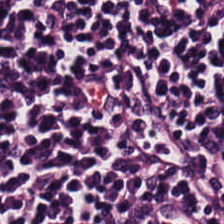Stain: H&E-stained tissue section.
Acquisition: whole-slide-image patch.
Tile size: 224×224 pixel tile.
Classification: lymphocyte aggregate.
